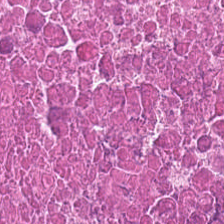Stain: H&E.
Tissue type: debris.
